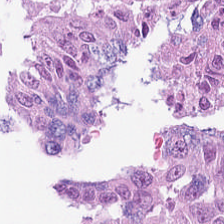Stain: hematoxylin and eosin.
Acquisition: WSI patch.
Tissue class: tumor epithelium.
